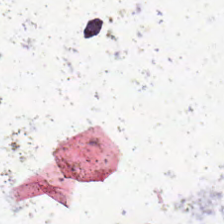H&E; 0.5 µm per pixel. Histology → no tissue.
